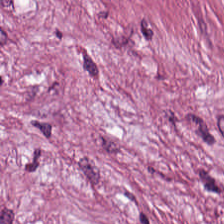H&E — tumor stroma.
